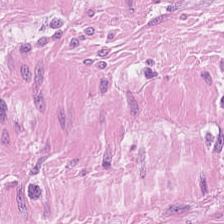20× equivalent magnification · hematoxylin-and-eosin stained section. Q: Classify this patch.
A: Smooth muscle.
